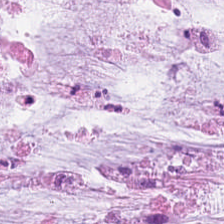H&E; brightfield microscopy; 224×224 pixel tile.
Showing mucus.
